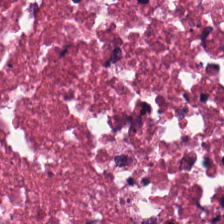H&E stain. Tissue type: cellular debris.
